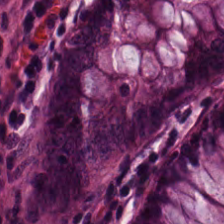Tissue: non-neoplastic colon mucosa.
